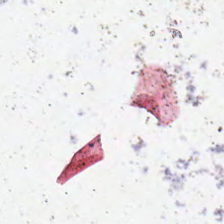224×224 pixel tile; H&E stain. Empty field — background (no tissue).
